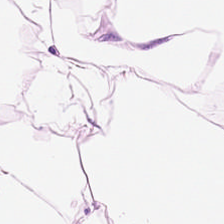H&E-stained tissue section.
Tissue type: adipose tissue.
